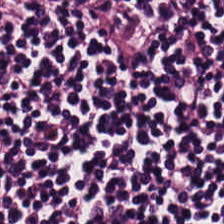{"tissue_type": "lymphocyte aggregate"}
